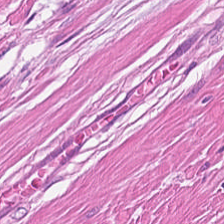Hematoxylin and eosin. Formalin-fixed paraffin-embedded section. 0.5 µm per pixel.
The predominant tissue is muscularis.
